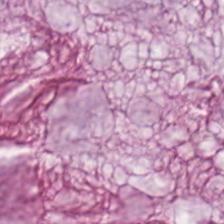Hematoxylin and eosin.
Mucus.
